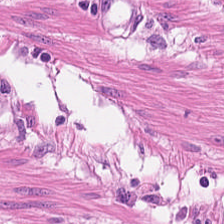Histology → smooth-muscle tissue.
